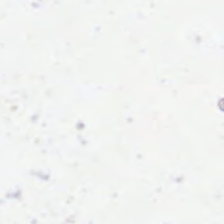224×224 px patch. Hematoxylin-and-eosin stained section.
Finding — background (no tissue).
